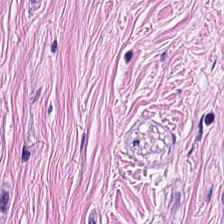Hematoxylin-and-eosin stained section · 0.5 µm/px.
The tissue here is tumor stroma.
